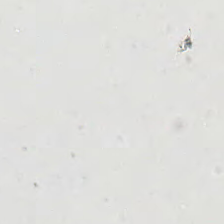Brightfield microscopy · H&E.
Impression → background.
